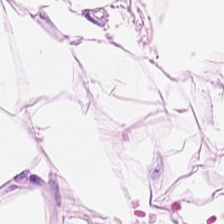Hematoxylin-and-eosin stained section. The tissue type is adipocytes.
